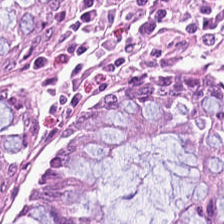Hematoxylin-and-eosin stained section; 20× equivalent magnification; formalin-fixed paraffin-embedded section.
Benign colonic mucosa.
